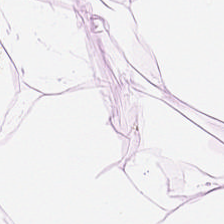Hematoxylin-and-eosin stained section; 0.5 µm/px; FFPE.
This field is adipose tissue.
